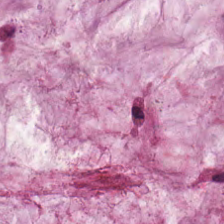Stain: H&E.
Tile size: 224×224 px patch.
Preparation: formalin-fixed paraffin-embedded section.
Classification: mucin.
